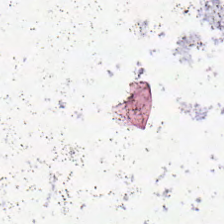Hematoxylin-and-eosin stained section — Q: What is shown in this field?
A: Background.
